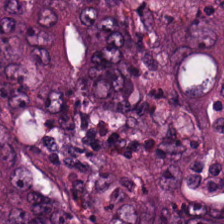Classification = colorectal adenocarcinoma epithelium.
